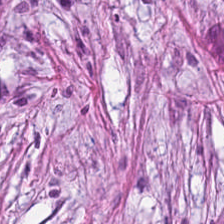Hematoxylin and eosin. Predominantly desmoplastic stroma.
